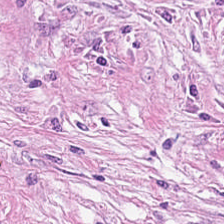H&E-stained section; the field shows cancer-associated stroma.
